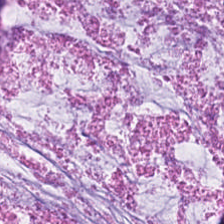H&E. Mucin.
